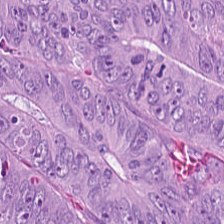Hematoxylin and eosin; 0.5 µm/px — The tissue is colorectal adenocarcinoma epithelium.
